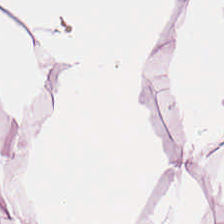Hematoxylin-and-eosin section: adipose.
